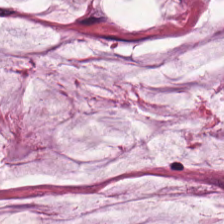Stain: hematoxylin-and-eosin stained section.
Acquisition: whole-slide-image patch.
Predominant tissue: mucin.
